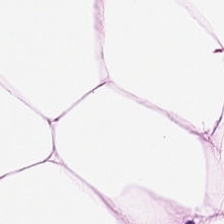H&E-stained tissue section · formalin-fixed paraffin-embedded section — Impression — fat tissue.
